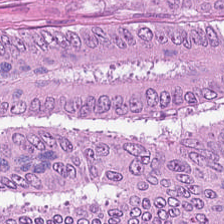H&E-stained section; the field shows adenocarcinoma.
